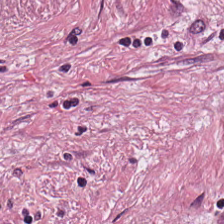Hematoxylin-and-eosin stained section — This patch shows tumor stroma.
